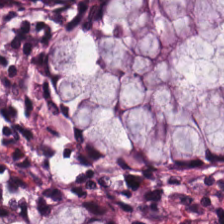0.5 µm/px. WSI patch. Hematoxylin and eosin.
The tissue here is benign colonic mucosa.
